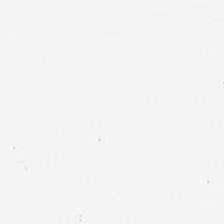Hematoxylin and eosin · formalin-fixed paraffin-embedded section.
Q: Classify this patch.
A: It is background (no tissue).
